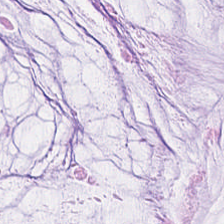Stain: H&E.
Preparation: FFPE.
Tile size: 224×224 pixel tile.
Tissue class: mucin.
